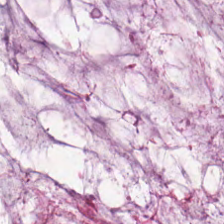Hematoxylin-and-eosin stained section — This patch shows extracellular mucin.
